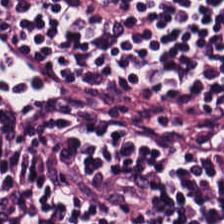Histology — lymphocytes.
